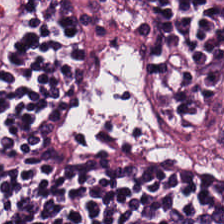H&E-stained tissue section · 20× equivalent magnification — Tissue class: lymphoid infiltrate.
